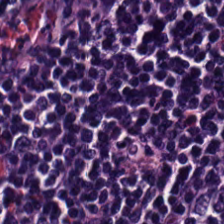Hematoxylin and eosin; 224×224 pixel tile; 20× equivalent magnification.
This field is lymphocytic infiltrate.
